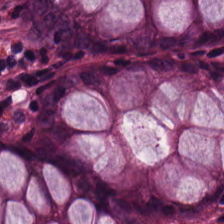Hematoxylin and eosin · formalin-fixed paraffin-embedded section · 224×224 px patch — Q: What is the predominant tissue type?
A: Non-neoplastic colon mucosa.
